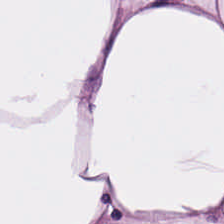Hematoxylin-and-eosin stained section · WSI patch — Predominantly adipose.
